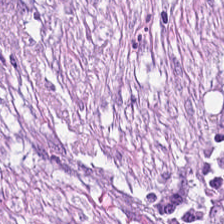The tissue here is desmoplastic stroma.
